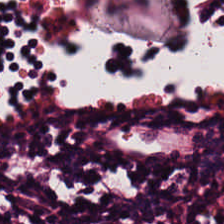Hematoxylin-and-eosin stained section — Showing lymphocyte aggregate.
